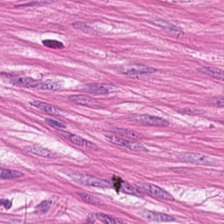This field is smooth-muscle tissue.
